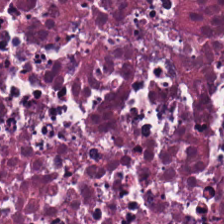H&E. Whole-slide-image patch. Histology — debris.
